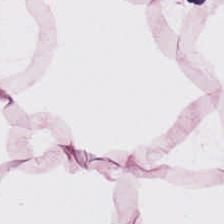H&E-stained tissue section — Finding — adipose tissue.
